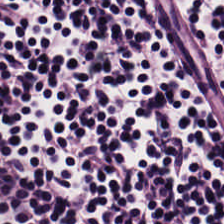H&E.
This field is lymphocytes.
